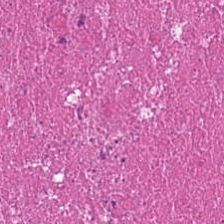H&E-stained tissue section.
Q: What type of tissue is this?
A: Debris.
